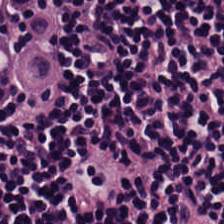Hematoxylin and eosin — Tissue class: lymphoid infiltrate.
